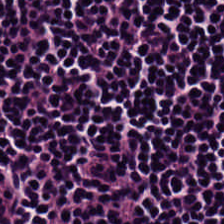Stain: hematoxylin and eosin.
Preparation: FFPE.
Tissue type: lymphocytic infiltrate.
